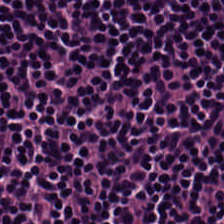H&E patch showing lymphocyte aggregate.
